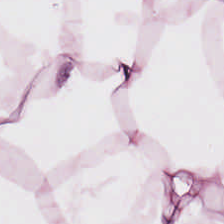Whole-slide-image patch · H&E-stained tissue section. Adipocytes.
